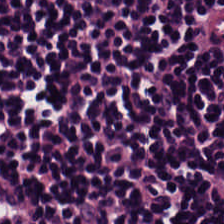H&E stain.
{"tissue_type": "lymphocytic infiltrate"}
